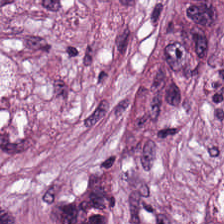Finding → tumor-associated stroma.
